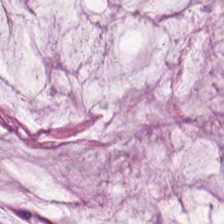Brightfield · formalin-fixed paraffin-embedded section · hematoxylin and eosin. Tissue class = mucin.
